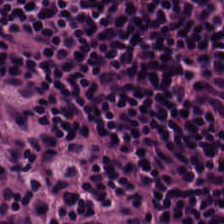Formalin-fixed paraffin-embedded section; hematoxylin-and-eosin stained section — Predominant tissue: lymphocyte aggregate.
